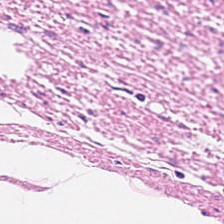Q: Classify this patch.
A: The field shows smooth muscle.
